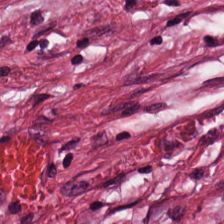Stain: H&E.
Resolution: 0.5 microns per pixel.
Preparation: FFPE tissue section.
Tissue class: desmoplastic stroma.
